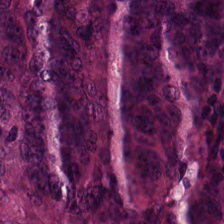H&E-stained tissue section. The tissue class is colorectal adenocarcinoma epithelium.
